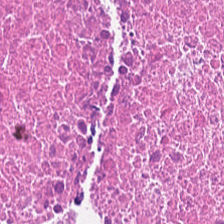Stain: H&E stain.
Resolution: 0.5 µm/px.
Tile size: 224×224 px tile.
Classification: cellular debris.
